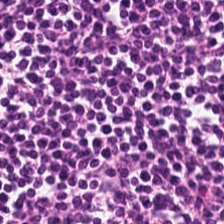H&E-stained tissue section.
The tissue here is lymphocyte aggregate.
